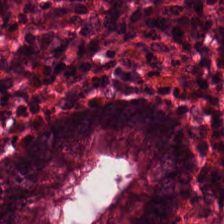Stain: hematoxylin-and-eosin stained section.
Tissue type: normal colonic mucosa.
